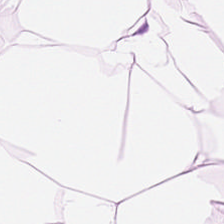Hematoxylin-and-eosin stained section. Tissue type — fat tissue.
